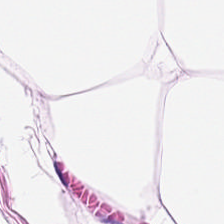Predominant tissue = fat tissue.
